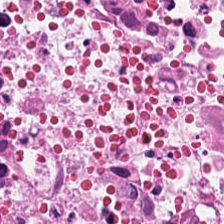Hematoxylin and eosin — The predominant tissue is necrotic debris.
